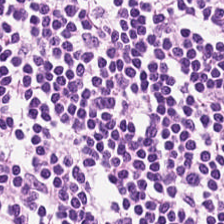H&E stain — This field is lymphocytic infiltrate.
